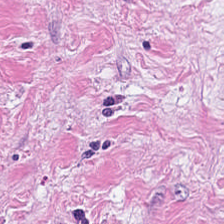H&E-stained tissue section.
This field is tumor-associated stroma.
